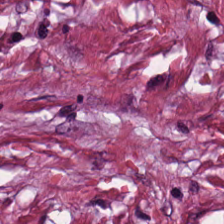Hematoxylin and eosin · 0.5 microns per pixel. Tissue type = cancer-associated stroma.
